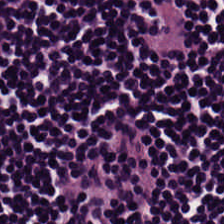Hematoxylin and eosin. Lymphocytic infiltrate.
